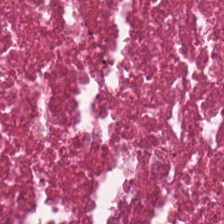224×224 px tile · H&E stain. Showing cellular debris.
